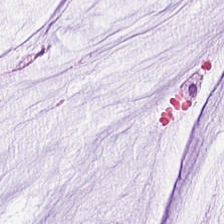Stain: H&E.
Classification: extracellular mucin.
